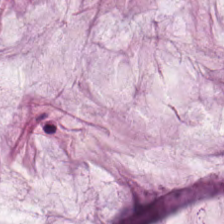FFPE. Brightfield. H&E stain. Predominantly mucus.
